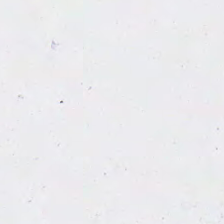Q: What is shown here?
A: Background (no tissue).
